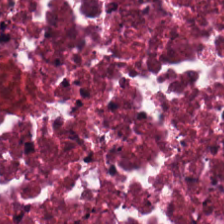H&E; FFPE; 224×224 px tile — Finding → necrotic debris.
